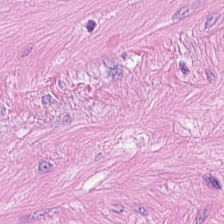0.5 µm/px. Brightfield microscopy. H&E.
The predominant tissue is smooth muscle.
